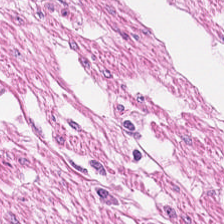H&E stain; 224×224 pixel tile. The tissue type is muscularis.
